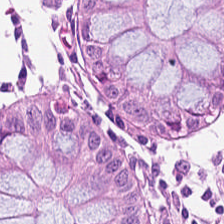224×224 px tile; H&E — This field is benign colonic mucosa.
